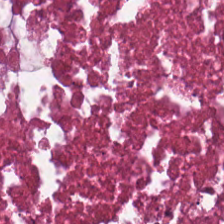Stain: hematoxylin and eosin.
Tissue type: necrotic debris.
